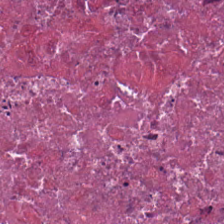Stain: H&E.
Predominant tissue: necrotic debris.
